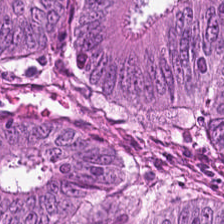H&E stain.
Adenocarcinoma.
